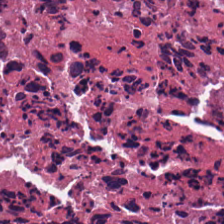Q: What is shown here?
A: Cellular debris.
